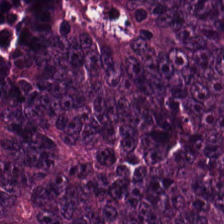WSI patch · H&E · 0.5 µm/px.
Q: What does this patch show?
A: It is adenocarcinoma.
